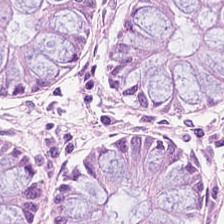Stain: hematoxylin and eosin.
Tissue: benign colonic mucosa.
